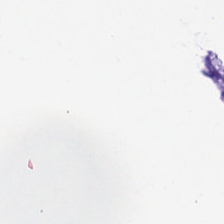Hematoxylin and eosin. 0.5 µm per pixel — This patch shows background (no tissue).
